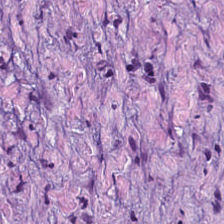Stain: H&E.
Tissue: cancer-associated stroma.
